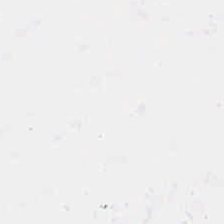Hematoxylin and eosin. {"content": "background (no tissue)"}
